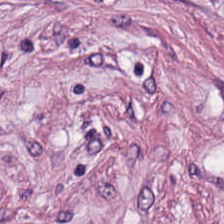H&E.
Impression → desmoplastic stroma.
